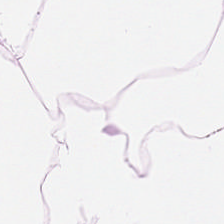{"tissue_type": "adipose"}
